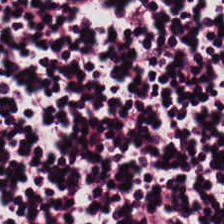H&E-stained tissue section. FFPE tissue section.
Showing lymphocytes.
